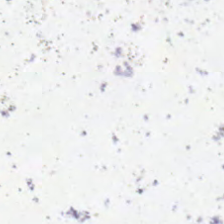H&E stain. Content — background (no tissue).
